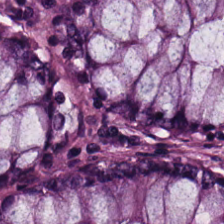Hematoxylin-and-eosin stained section.
Impression — normal colonic mucosa.
